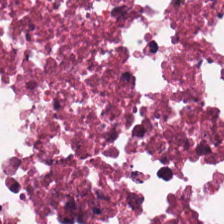H&E stain.
Tissue type — debris.
